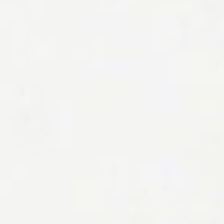Empty field — background (no tissue).
